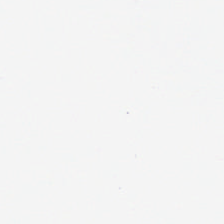Stain: hematoxylin and eosin.
Content: no tissue.
